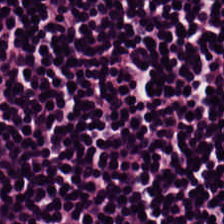WSI patch; H&E-stained tissue section; 224×224 px patch. Q: What is the predominant tissue type?
A: The field shows lymphoid infiltrate.
